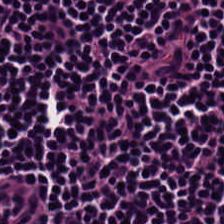Stain: hematoxylin-and-eosin stained section.
Tissue class: lymphoid infiltrate.
